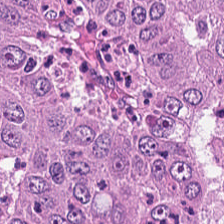H&E-stained section; the field shows adenocarcinoma.
